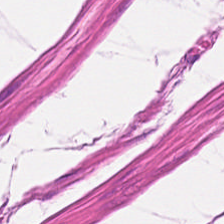The predominant tissue is smooth-muscle tissue.
